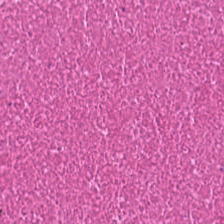Q: What tissue type is shown here?
A: The field shows cellular debris.
